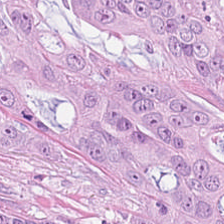H&E stain · 0.5 microns per pixel.
Q: What tissue type is shown here?
A: Malignant epithelium.
